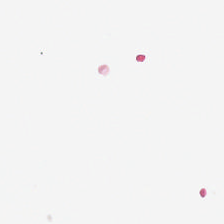Hematoxylin and eosin. Background — no tissue in this field.
